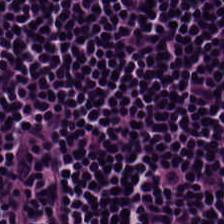Hematoxylin-and-eosin stained section. Impression → lymphoid infiltrate.
